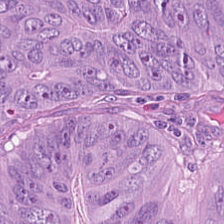Stain: H&E-stained tissue section.
Tissue class: tumor epithelium.
